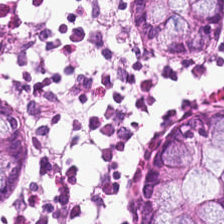Showing normal colonic mucosa.
